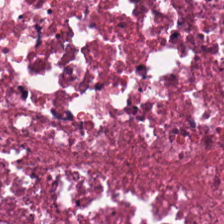Q: What is shown here?
A: This is necrotic debris.
